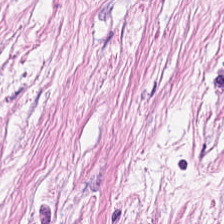H&E — tumor stroma.
